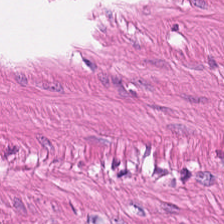H&E stain.
Finding — smooth muscle.
